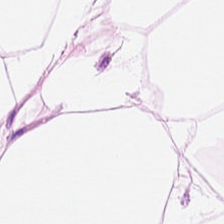Q: What type of tissue is this?
A: The field shows fat tissue.
